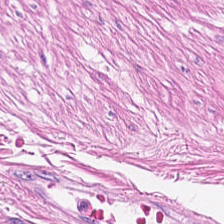Finding → smooth-muscle tissue.
